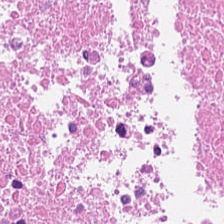Formalin-fixed paraffin-embedded section. 224×224 pixel tile. H&E-stained tissue section.
Predominant tissue: necrotic debris.
